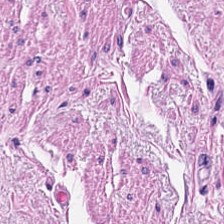Hematoxylin and eosin — Muscularis.
